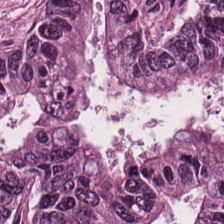20× equivalent magnification · H&E stain.
Tissue class — adenocarcinoma.
